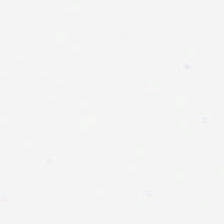H&E-stained tissue section — Empty field — no tissue.
